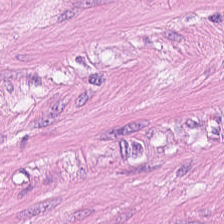H&E-stained tissue section. Smooth-muscle tissue.
